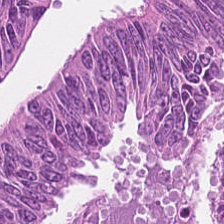H&E stain; FFPE tissue section.
The tissue class is adenocarcinoma.
